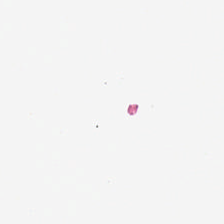Stain: H&E stain.
Field content: background (no tissue).
